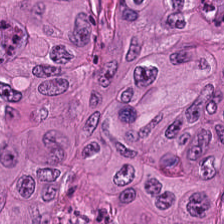Hematoxylin-and-eosin stained section. This field is adenocarcinoma.
